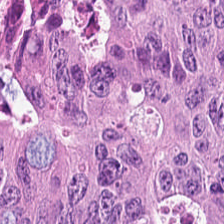H&E stain · 0.5 µm per pixel. The tissue here is colorectal adenocarcinoma.
